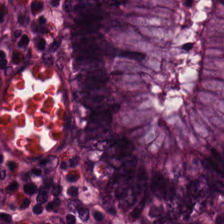20× equivalent magnification; H&E stain; 224×224 px patch — This field is benign colonic mucosa.
